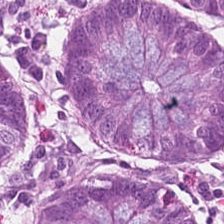H&E · FFPE tissue section · whole-slide-image patch.
Histology — normal colonic mucosa.
